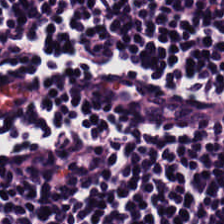WSI patch. 0.5 µm/px. Hematoxylin and eosin. Q: What tissue type is shown here?
A: The field shows lymphocytes.
